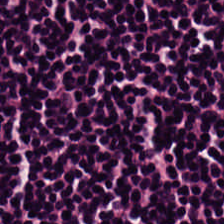Lymphoid infiltrate.
